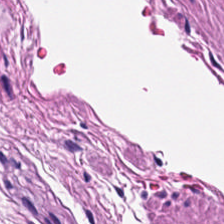H&E-stained section; the field shows smooth muscle.
